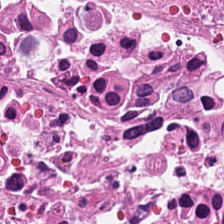Histology — cellular debris.
